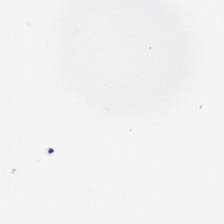Hematoxylin-and-eosin stained section — Classification — background (no tissue).
